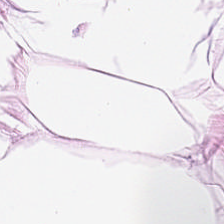H&E-stained tissue section — Tissue class: adipocytes.
